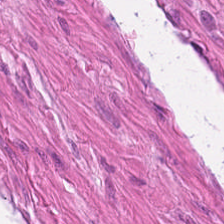H&E stain.
The tissue class is smooth muscle.
